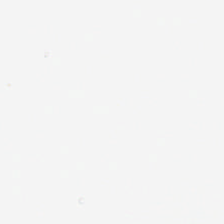FFPE; hematoxylin-and-eosin stained section.
Impression → background (no tissue).
